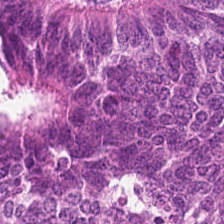H&E stain — Histology → malignant epithelium.
